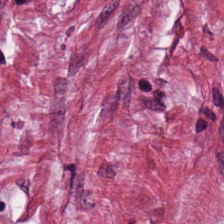H&E-stained tissue section; 0.5 microns per pixel; 224×224 px patch.
Predominant tissue = tumor stroma.
